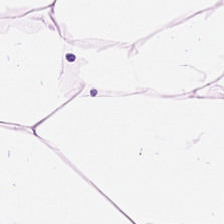Stain: hematoxylin-and-eosin stained section.
Tissue class: fat tissue.
